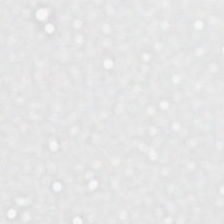Stain: hematoxylin and eosin.
Classification: background (no tissue).
